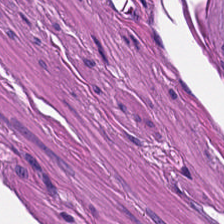H&E-stained tissue section — The tissue here is smooth muscle.
